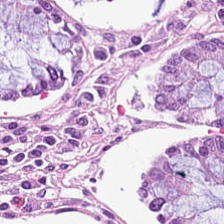Hematoxylin-and-eosin stained section. Tissue type: normal colonic mucosa.
